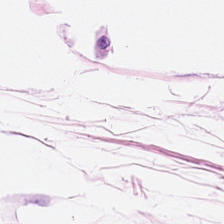H&E stain.
Q: What tissue is shown?
A: This is fat tissue.
